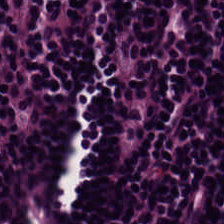224×224 px tile · hematoxylin-and-eosin stained section.
Tissue type: lymphocyte aggregate.
